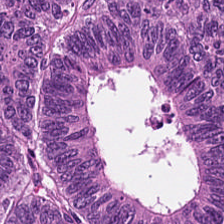Hematoxylin-and-eosin section: malignant epithelium.
